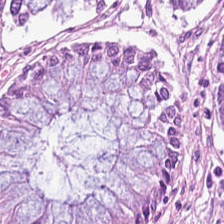H&E-stained tissue section — Predominantly normal colonic mucosa.
